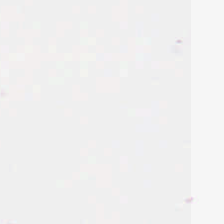Hematoxylin and eosin — The classification is background (no tissue).
